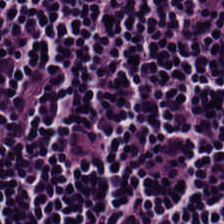H&E-stained tissue section. Tissue type: lymphoid infiltrate.
